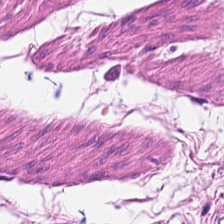FFPE tissue section. H&E-stained tissue section. 224×224 px patch — The classification is smooth muscle.
